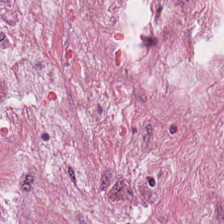Hematoxylin and eosin.
This field is tumor-associated stroma.
